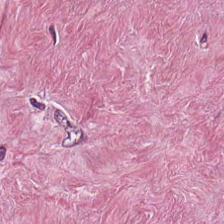Stain: H&E.
Acquisition: brightfield microscopy.
Tissue type: tumor stroma.
